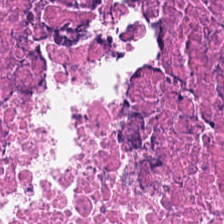The classification is cellular debris.
